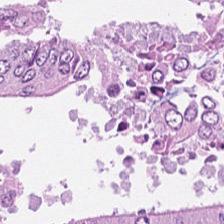H&E. Predominant tissue = colorectal adenocarcinoma epithelium.
